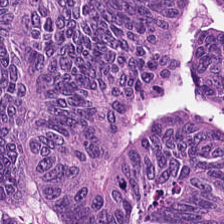H&E stain; 0.5 microns per pixel.
Impression — colorectal adenocarcinoma.
